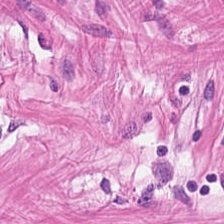H&E.
Tissue class: smooth-muscle tissue.
